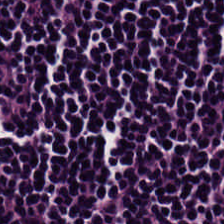H&E-stained tissue section; brightfield microscopy. The predominant tissue is lymphocyte aggregate.
